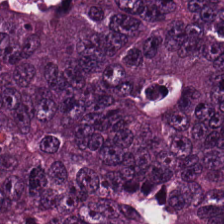Stain: H&E-stained tissue section.
Resolution: 20× equivalent magnification.
Classification: tumor epithelium.
